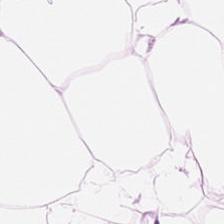Stain: H&E-stained tissue section.
Tissue class: fat tissue.
